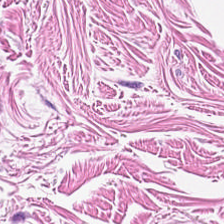Q: What type of tissue is this?
A: Smooth-muscle tissue.
